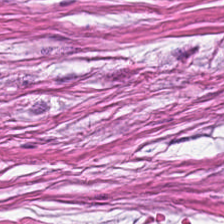Hematoxylin and eosin. Formalin-fixed paraffin-embedded section — This patch shows tumor stroma.
